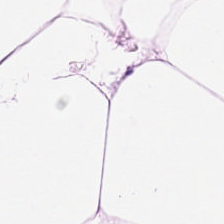H&E.
The tissue is fat tissue.
